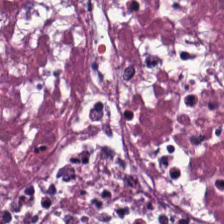Stain: H&E.
Tissue: necrotic debris.
